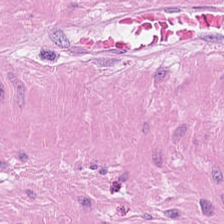Smooth-muscle tissue.
